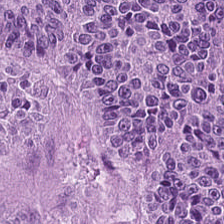Hematoxylin and eosin. This patch shows colorectal adenocarcinoma epithelium.
